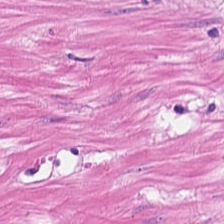0.5 µm per pixel. H&E-stained tissue section — {"tissue_type": "muscularis"}
